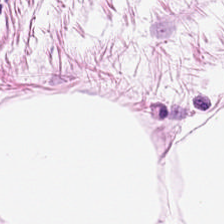Stain: hematoxylin-and-eosin stained section.
Tile size: 224×224 px patch.
Tissue class: adipocytes.
